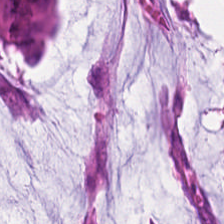Hematoxylin-and-eosin stained section.
The tissue here is tumor epithelium.
